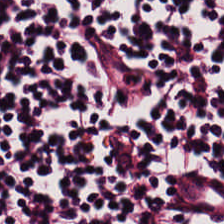H&E; brightfield.
Q: What tissue type is shown here?
A: This is lymphoid infiltrate.
